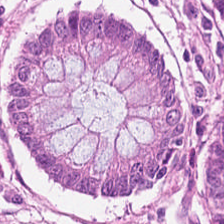Finding — normal colonic mucosa.
